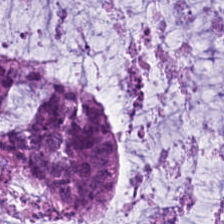H&E — Tissue class — mucin.
